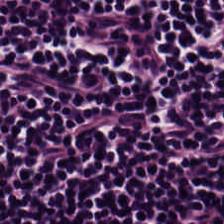Tissue class — lymphocytes.
